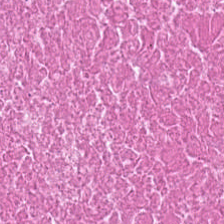H&E-stained tissue section. The predominant tissue is necrotic debris.
